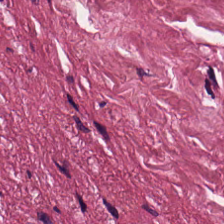H&E. FFPE tissue section — Q: What is shown in this field?
A: The field shows desmoplastic stroma.
